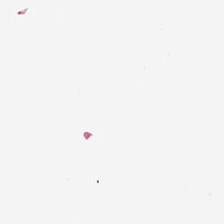H&E. 224×224 px patch. FFPE tissue section — Q: Classify this patch.
A: Empty background.
